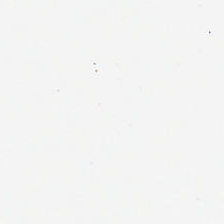Classification: background (no tissue).
